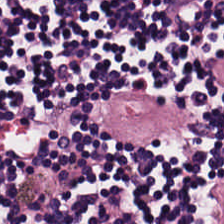Stain: H&E.
Tissue class: lymphoid infiltrate.
